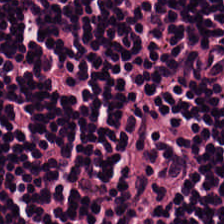FFPE tissue section; hematoxylin and eosin; 20× equivalent magnification.
The tissue here is lymphocytes.
